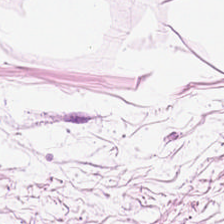Tissue = adipose.
